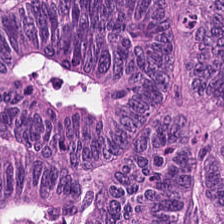H&E-stained tissue section showing adenocarcinoma.
